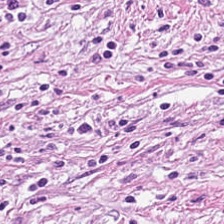Stain: hematoxylin and eosin.
Predominant tissue: tumor-associated stroma.
